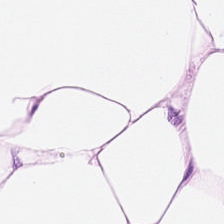FFPE · H&E · 224×224 px tile. This patch shows adipose tissue.
